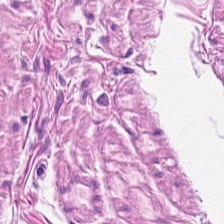H&E stain; 0.5 microns per pixel.
The predominant tissue is smooth muscle.
